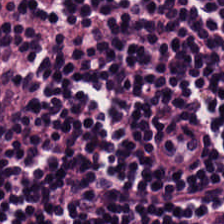Hematoxylin and eosin. {"tissue_type": "lymphocytes"}
